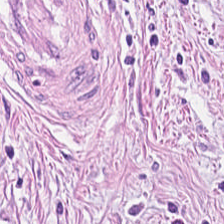Q: Classify this patch.
A: This is tumor stroma.
